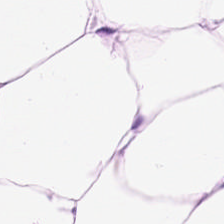H&E patch showing fat tissue.
